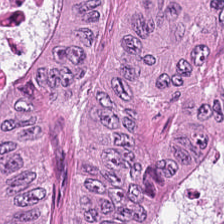WSI patch. H&E. The predominant tissue is colorectal adenocarcinoma epithelium.
